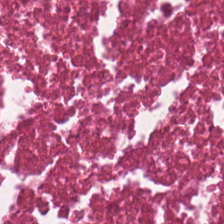{"tissue_type": "necrotic debris"}
